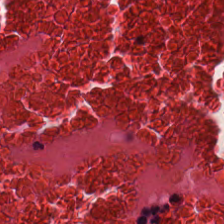Hematoxylin and eosin — {"tissue_type": "necrotic debris"}
